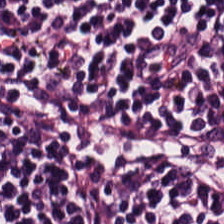FFPE; H&E stain — Lymphocyte aggregate.
